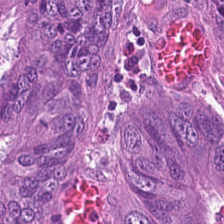H&E stain.
This patch shows colorectal adenocarcinoma.
